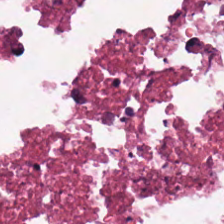H&E-stained tissue section.
Predominantly necrotic debris.
